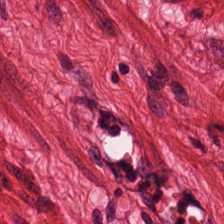Q: What is shown here?
A: Smooth-muscle tissue.
